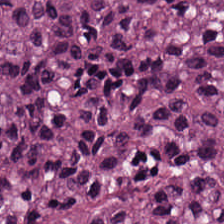H&E-stained tissue section — Predominantly colorectal adenocarcinoma.
